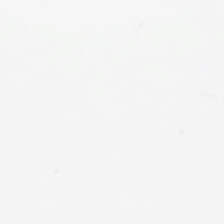Q: Classify this patch.
A: It is background (no tissue).
